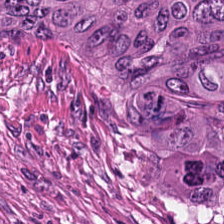This patch shows colorectal adenocarcinoma epithelium.
